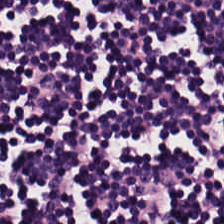Hematoxylin and eosin. 0.5 microns per pixel. Brightfield.
Showing lymphoid infiltrate.
